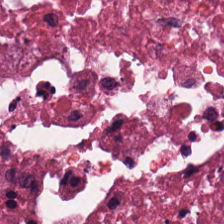224×224 px tile · hematoxylin-and-eosin stained section.
Showing necrotic debris.
